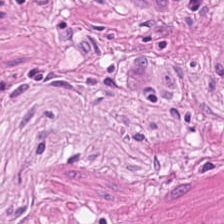Predominantly muscularis.
